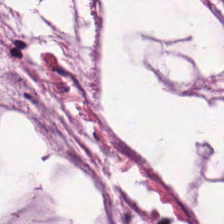FFPE; hematoxylin-and-eosin stained section; 224×224 px patch. This field is extracellular mucin.
